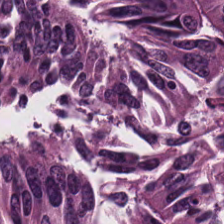Hematoxylin-and-eosin stained section.
The predominant tissue is tumor epithelium.
